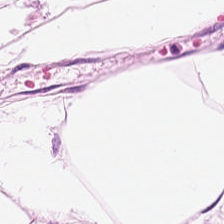Stain: hematoxylin and eosin.
Tissue class: fat tissue.
